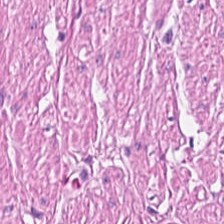Tissue class = muscularis.
